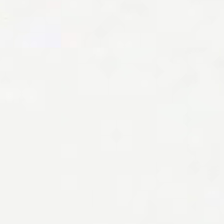Stain: hematoxylin and eosin.
Resolution: 0.5 µm per pixel.
Acquisition: WSI patch.
Classification: empty background.
